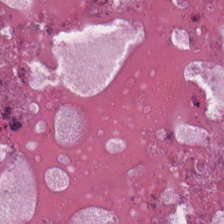Hematoxylin and eosin. 224×224 px patch — Q: What is the predominant tissue type?
A: The field shows cellular debris.
